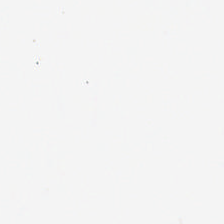0.5 µm per pixel. H&E stain. WSI patch — Impression → no tissue.
